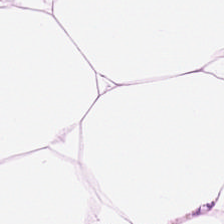H&E-stained tissue section · 224×224 px patch · FFPE.
Q: What is shown here?
A: The field shows adipocytes.
